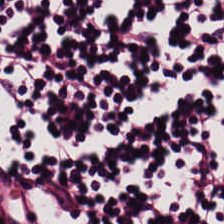H&E. Tissue type = lymphocytic infiltrate.
